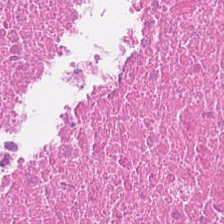Hematoxylin and eosin.
Classification = debris.
